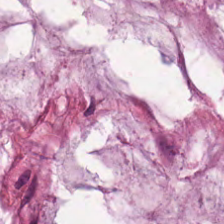Q: What does this patch show?
A: It is extracellular mucin.
